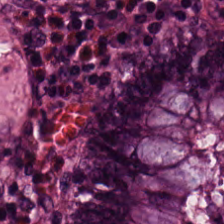Hematoxylin and eosin. 224×224 px tile. 20× equivalent magnification — The tissue here is non-neoplastic colon mucosa.
